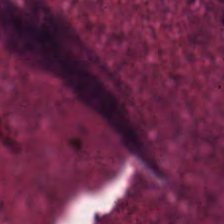H&E-stained tissue section. The predominant tissue is necrotic debris.
